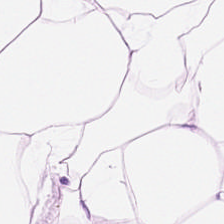Hematoxylin-and-eosin stained section; 0.5 µm/px; formalin-fixed paraffin-embedded section. Tissue: adipose tissue.
